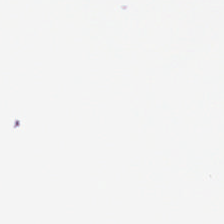H&E · 224×224 px tile · formalin-fixed paraffin-embedded section — Background (no tissue).
